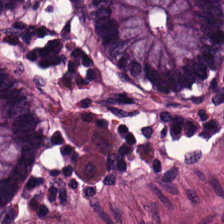0.5 microns per pixel; hematoxylin and eosin. Impression → normal colon mucosa.
